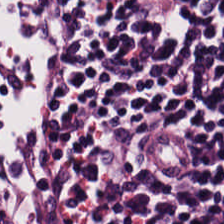Hematoxylin and eosin.
Classification: lymphocytes.
